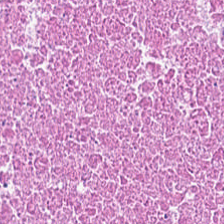Hematoxylin-and-eosin stained section. The tissue is debris.
